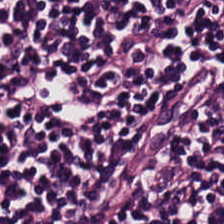Q: What tissue is shown?
A: Lymphocytes.
